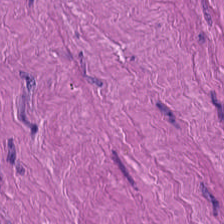Brightfield; H&E. {"tissue_type": "smooth muscle"}
